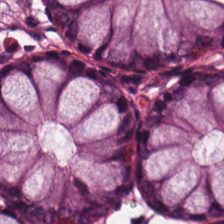{"tissue_type": "benign colonic mucosa"}
